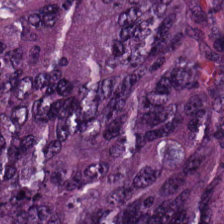The tissue class is malignant epithelium.
